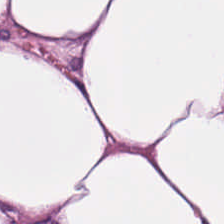Hematoxylin-and-eosin stained section. Q: What is the predominant tissue type?
A: This is adipose tissue.
